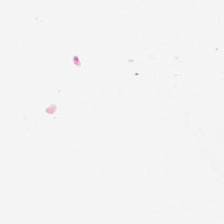Formalin-fixed paraffin-embedded section. Hematoxylin-and-eosin stained section. {"content": "no tissue"}
